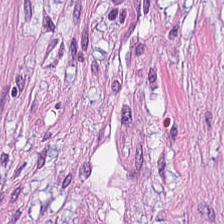Hematoxylin and eosin; FFPE; whole-slide-image patch — The predominant tissue is tumor stroma.
